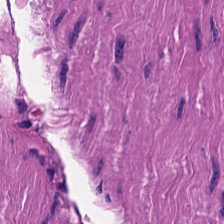H&E-stained tissue section.
The tissue here is smooth muscle.
